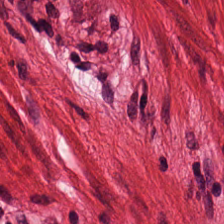WSI patch · H&E-stained tissue section. This field is muscularis.
